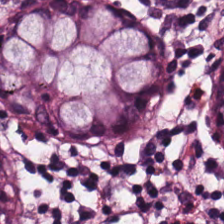H&E · 0.5 microns per pixel. Histology → normal colon mucosa.
